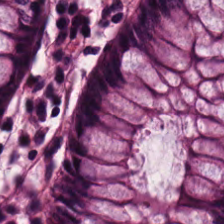H&E patch showing normal colonic mucosa.
